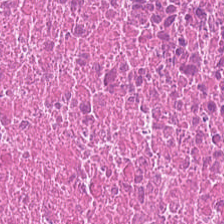0.5 microns per pixel; H&E-stained tissue section — The tissue here is cellular debris.
